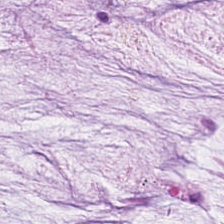Hematoxylin and eosin — This field is mucin.
